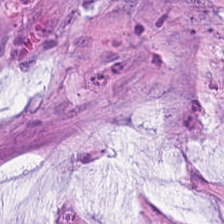0.5 microns per pixel · H&E-stained tissue section — Tissue = extracellular mucin.
